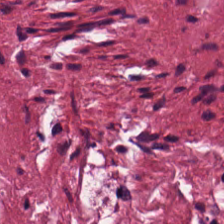20× equivalent magnification. H&E stain. Brightfield. Classification = desmoplastic stroma.
